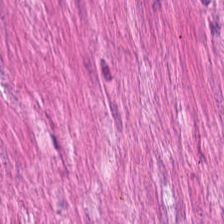Stain: H&E stain.
Tile size: 224×224 px tile.
Tissue type: muscularis.
